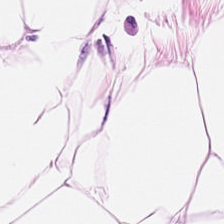H&E stain — Classification — fat tissue.
